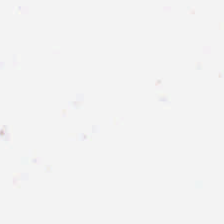H&E stain — This field is background (no tissue).
